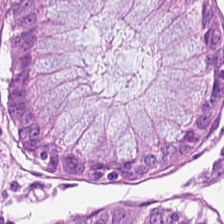Stain: hematoxylin-and-eosin stained section.
Acquisition: brightfield.
Tissue: normal colon mucosa.
